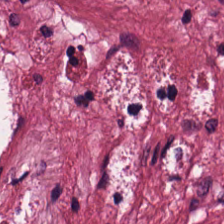H&E stain. 20× equivalent magnification. Q: Identify the tissue.
A: It is cancer-associated stroma.
